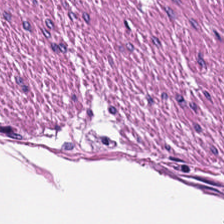H&E.
Impression — muscularis.
